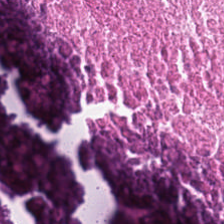Brightfield microscopy · H&E.
Q: What is shown here?
A: This is cellular debris.
